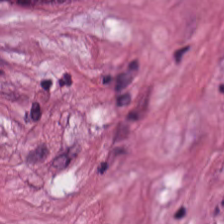Hematoxylin and eosin. Q: What does this patch show?
A: Tumor stroma.
